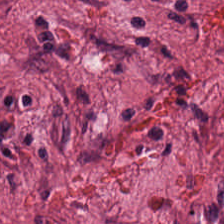Predominant tissue = tumor stroma.
